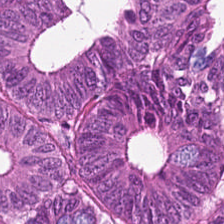0.5 µm/px. Brightfield microscopy. Hematoxylin-and-eosin stained section. Finding → adenocarcinoma.
